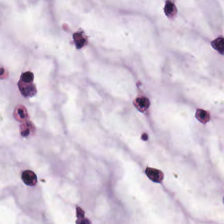H&E patch showing extracellular mucin.
